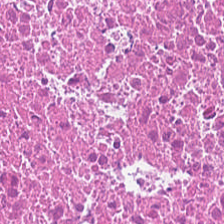H&E-stained tissue section; 224×224 px patch.
Tissue class — cellular debris.
